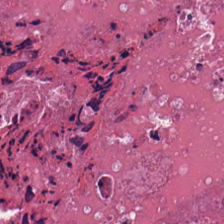Histology → cellular debris.
